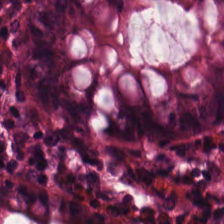H&E stain. 0.5 µm per pixel — Predominant tissue — benign colonic mucosa.
